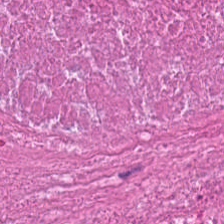Hematoxylin-and-eosin stained section; 224×224 px tile. The tissue type is cellular debris.
